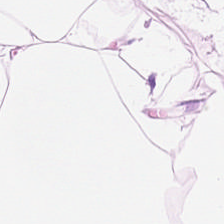H&E-stained section; the field shows fat tissue.
